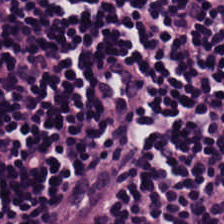Classification = lymphocyte aggregate.
